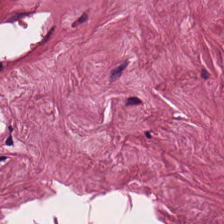Stain: H&E.
Classification: tumor-associated stroma.
